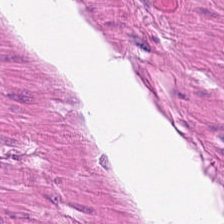Whole-slide-image patch · hematoxylin-and-eosin stained section. Muscularis.
